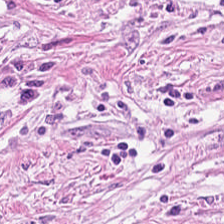The predominant tissue is desmoplastic stroma.
